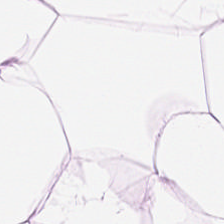Tissue: fat tissue.
